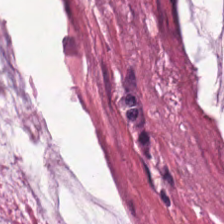Hematoxylin-and-eosin stained section — The classification is mucus.
